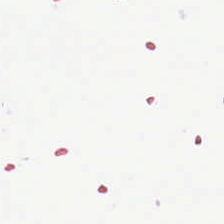224×224 pixel tile. H&E stain. This field is background (no tissue).
